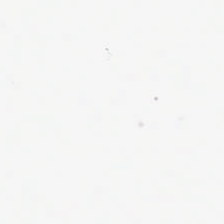Hematoxylin and eosin; 224×224 px patch; brightfield. Content — background.
